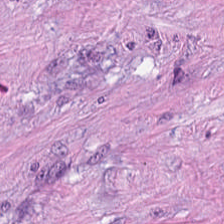H&E.
Q: What does this patch show?
A: This is desmoplastic stroma.
